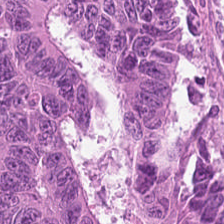Stain: H&E stain.
Resolution: 0.5 µm per pixel.
Tissue class: tumor epithelium.
